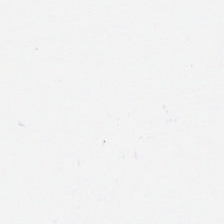No tissue.
